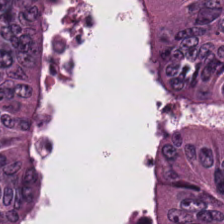Stain: H&E stain.
Tissue type: malignant epithelium.
